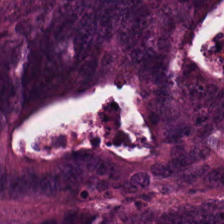This field is colorectal adenocarcinoma.
